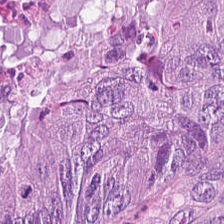Q: What type of tissue is this?
A: It is colorectal adenocarcinoma.
